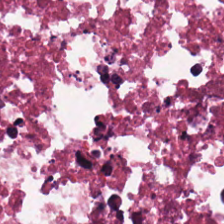H&E stain. Predominant tissue = necrotic debris.
